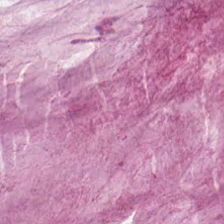Whole-slide-image patch; H&E.
The predominant tissue is mucus.
